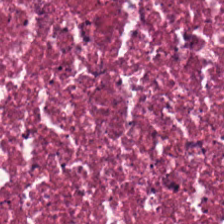Hematoxylin and eosin. Q: Identify the tissue.
A: The field shows cellular debris.
